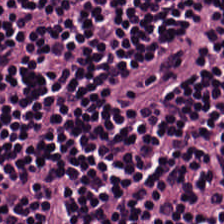Hematoxylin and eosin; FFPE tissue section.
Lymphocyte aggregate.
